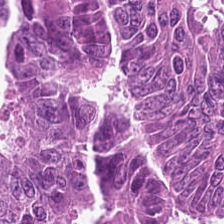Stain: H&E.
Classification: colorectal adenocarcinoma epithelium.
